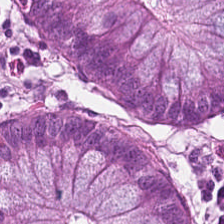H&E-stained tissue section — The tissue here is normal colon mucosa.
